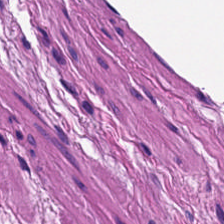H&E stain · formalin-fixed paraffin-embedded section · 0.5 µm/px — Finding → smooth muscle.
